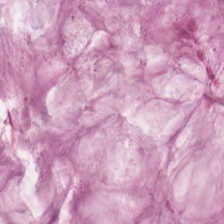Hematoxylin-and-eosin stained section.
Impression — mucus.
